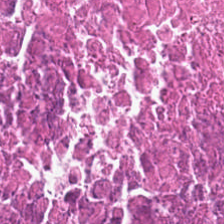Hematoxylin-and-eosin stained section.
Predominant tissue: cellular debris.
